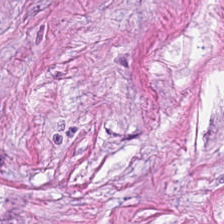0.5 microns per pixel; hematoxylin and eosin. Tissue type — tumor stroma.
